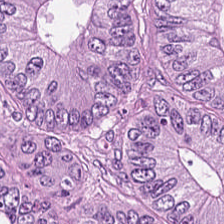0.5 microns per pixel · H&E-stained tissue section — This patch shows colorectal adenocarcinoma.
